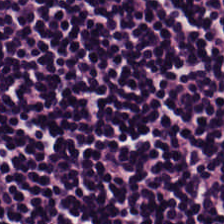Hematoxylin-and-eosin stained section — Showing lymphoid infiltrate.
